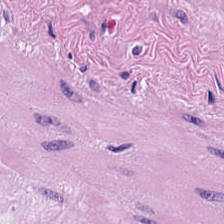Hematoxylin and eosin — This field is smooth-muscle tissue.
